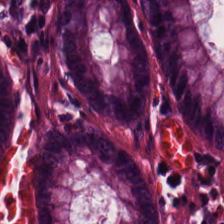Whole-slide-image patch. 0.5 µm/px. H&E.
Q: What is the predominant tissue type?
A: It is normal colonic mucosa.
